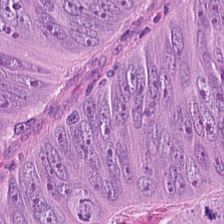The classification is malignant epithelium.
